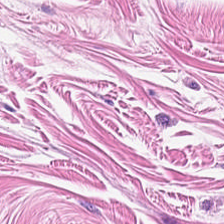20× equivalent magnification. H&E stain — Predominantly muscularis.
